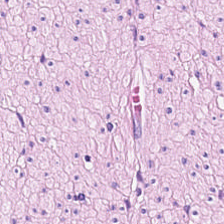Formalin-fixed paraffin-embedded section · 224×224 px patch · hematoxylin-and-eosin stained section. This field is smooth muscle.
